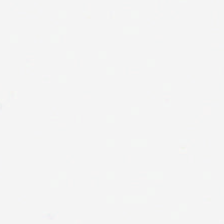H&E stain. 224×224 px tile. Classification: background.
